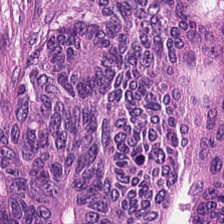Q: What is shown in this field?
A: This is malignant epithelium.
